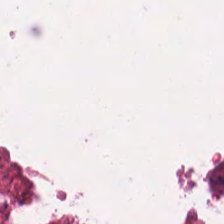Hematoxylin and eosin. Finding — necrotic debris.
